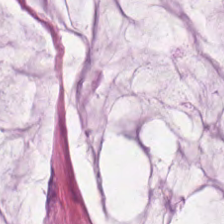H&E-stained tissue section. Brightfield microscopy.
Histology — extracellular mucin.
